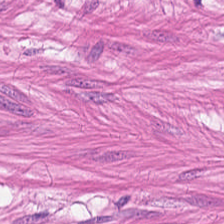0.5 microns per pixel. H&E — This field is muscularis.
